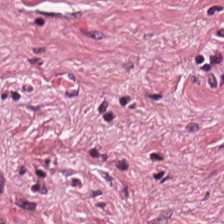Hematoxylin-and-eosin stained section.
Desmoplastic stroma.
